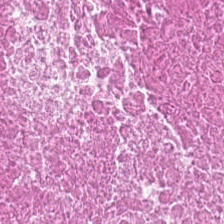0.5 microns per pixel. WSI patch. H&E stain — Impression → cellular debris.
